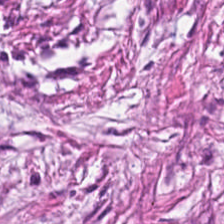Hematoxylin-and-eosin section: tumor stroma.
